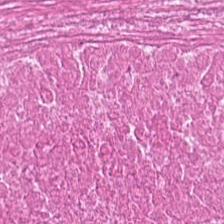H&E patch showing cellular debris.
